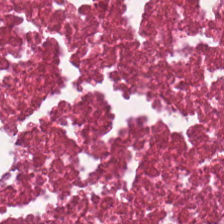H&E stain · 0.5 µm/px · 224×224 px tile.
Tissue — cellular debris.
